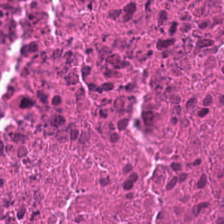Hematoxylin-and-eosin stained section.
Tissue class = debris.
